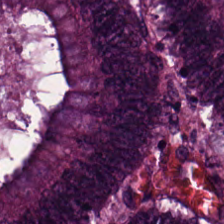Hematoxylin and eosin. Predominantly colorectal adenocarcinoma.
